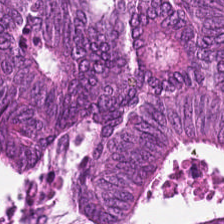Tissue class — colorectal adenocarcinoma.
